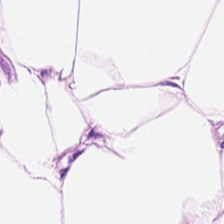H&E-stained tissue section — Tissue class = adipose.
